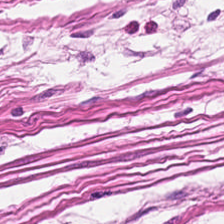Hematoxylin and eosin.
The tissue type is smooth-muscle tissue.
